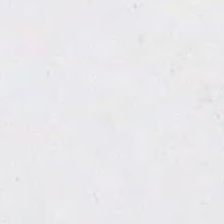The classification is background.
